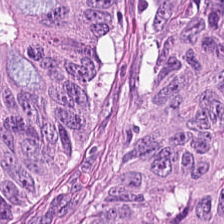Stain: hematoxylin-and-eosin stained section.
Tissue: colorectal adenocarcinoma.
